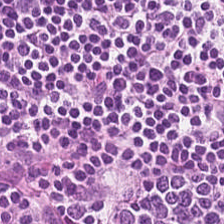Brightfield microscopy · hematoxylin-and-eosin stained section — This patch shows lymphocyte aggregate.
